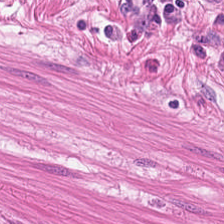Stain: H&E stain.
Tile size: 224×224 px tile.
Tissue type: smooth-muscle tissue.
